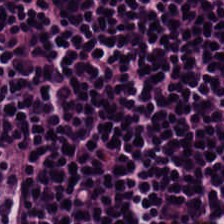H&E.
This field is lymphoid infiltrate.
